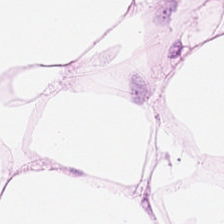0.5 microns per pixel; H&E stain.
Q: What does this patch show?
A: This is fat tissue.
